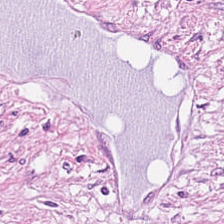WSI patch; H&E-stained tissue section. Classification — tumor-associated stroma.
